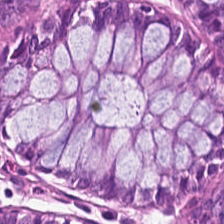H&E — The predominant tissue is non-neoplastic colon mucosa.
